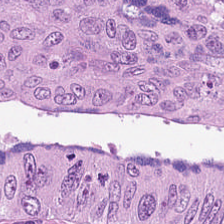Stain: hematoxylin-and-eosin stained section.
Tissue: colorectal adenocarcinoma.
